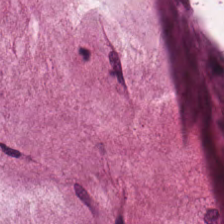Classification — mucus.
